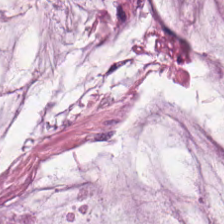Hematoxylin and eosin · 0.5 µm/px.
Tissue class: extracellular mucin.
